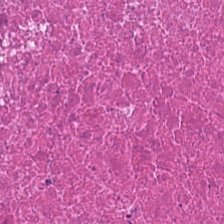Hematoxylin and eosin. 0.5 µm/px — This patch shows cellular debris.
